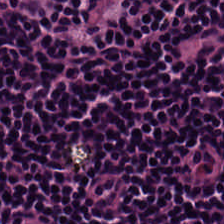H&E — The tissue is lymphocytes.
